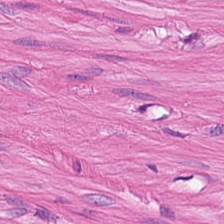Impression — smooth-muscle tissue.
